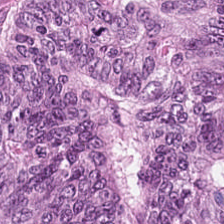Hematoxylin-and-eosin stained section; whole-slide-image patch; 224×224 px patch. This field is malignant epithelium.
